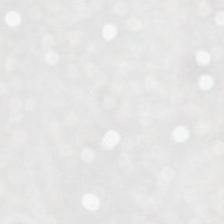The content is background (no tissue).
